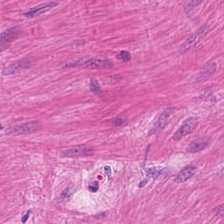Hematoxylin-and-eosin stained section — Predominantly smooth muscle.
